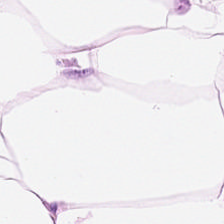Whole-slide-image patch. 224×224 px tile. Hematoxylin-and-eosin stained section.
The tissue here is adipocytes.
